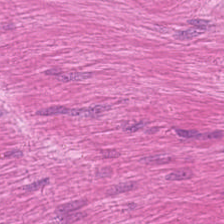H&E stain. Finding — smooth muscle.
